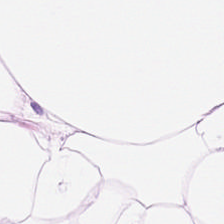WSI patch · H&E · formalin-fixed paraffin-embedded section.
Adipocytes.
